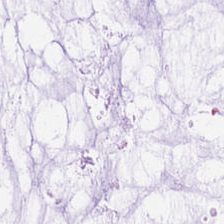Hematoxylin and eosin. This field is mucus.
